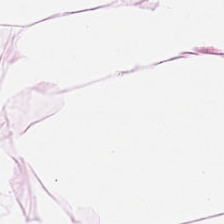Q: What tissue type is shown here?
A: Adipose.
